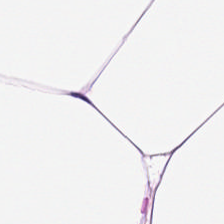Hematoxylin-and-eosin stained section — Predominantly adipose.
